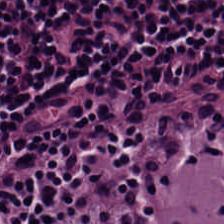Stain: H&E.
Tile size: 224×224 px patch.
Classification: lymphoid infiltrate.
